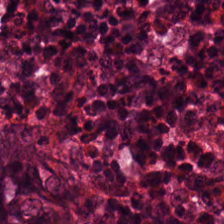Hematoxylin-and-eosin stained section. The predominant tissue is non-neoplastic colon mucosa.
